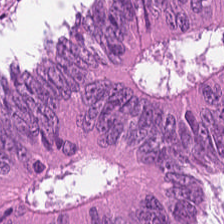Hematoxylin-and-eosin stained section.
The predominant tissue is colorectal adenocarcinoma.
